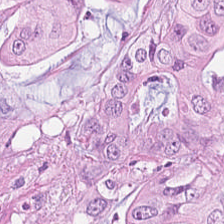20× equivalent magnification; H&E — Q: What is shown in this field?
A: The field shows colorectal adenocarcinoma.
